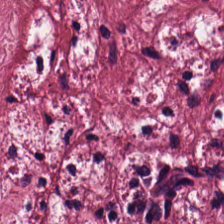Formalin-fixed paraffin-embedded section. 0.5 µm per pixel. H&E — The predominant tissue is desmoplastic stroma.
